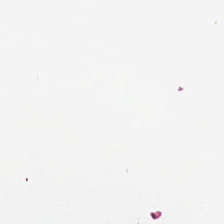H&E-stained tissue section. Q: What does this patch show?
A: No tissue.
